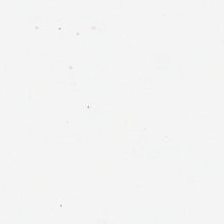Field content — no tissue.
